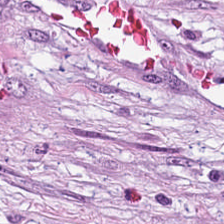Q: What is shown in this field?
A: The field shows cancer-associated stroma.
